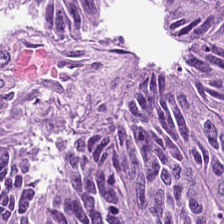Tissue: malignant epithelium.
